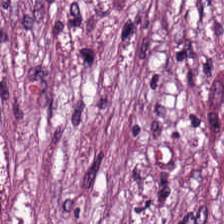H&E. Showing desmoplastic stroma.
